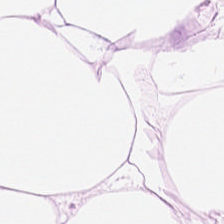H&E-stained tissue section · FFPE. {"tissue_type": "adipocytes"}
